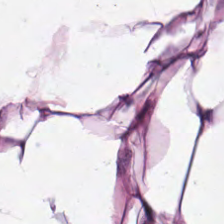Hematoxylin and eosin — Finding → adipocytes.
